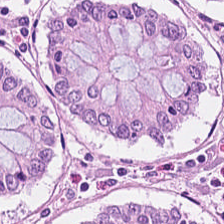H&E stain; 224×224 pixel tile; formalin-fixed paraffin-embedded section — Q: What tissue is shown?
A: It is normal colon mucosa.
